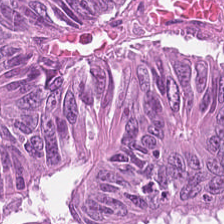Stain: H&E.
Predominant tissue: adenocarcinoma.
